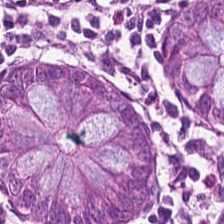Finding → normal colonic mucosa.
